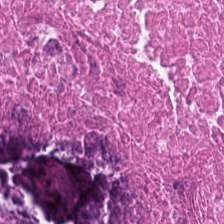WSI patch · formalin-fixed paraffin-embedded section · hematoxylin and eosin.
{"tissue_type": "cellular debris"}
